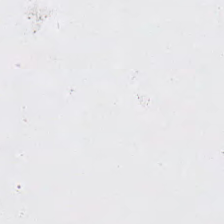Hematoxylin and eosin — This field is background (no tissue).
